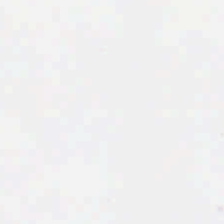This field is background (no tissue).
